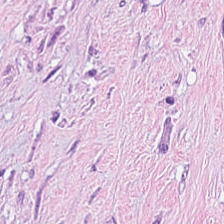H&E.
The classification is cancer-associated stroma.
